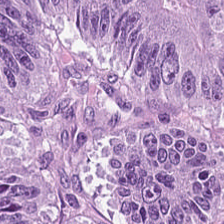Adenocarcinoma.
